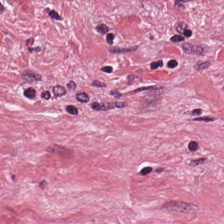H&E stain.
The tissue here is desmoplastic stroma.
